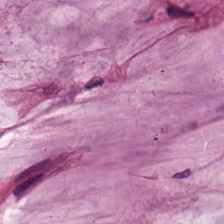H&E. Predominantly extracellular mucin.
